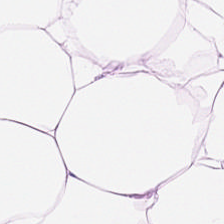The tissue is adipocytes.
